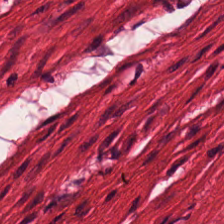H&E.
Finding → smooth-muscle tissue.
